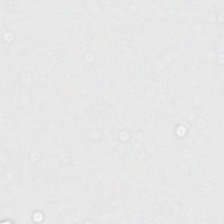No tissue present; background only.
